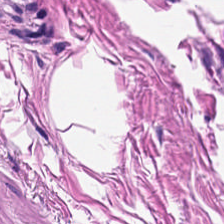H&E-stained tissue section — Muscularis.
